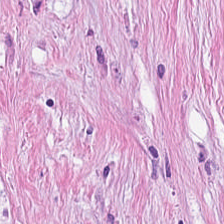Hematoxylin-and-eosin stained section. {"tissue_type": "tumor-associated stroma"}
